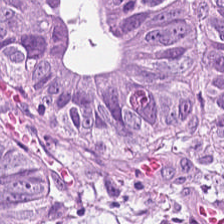Hematoxylin-and-eosin stained section. Q: What type of tissue is this?
A: This is tumor epithelium.
